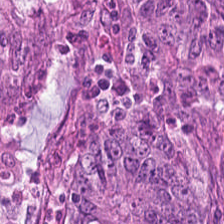Whole-slide-image patch; H&E. Tumor epithelium.
